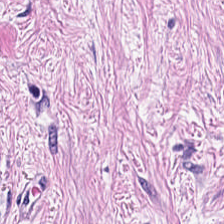H&E-stained tissue section — This field is cancer-associated stroma.
